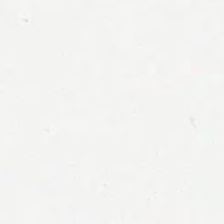FFPE tissue section. H&E-stained tissue section.
{"content": "no tissue"}
